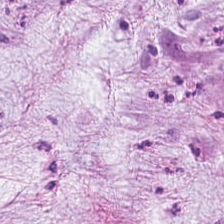Brightfield. Hematoxylin and eosin. 224×224 px patch. This patch shows mucus.
